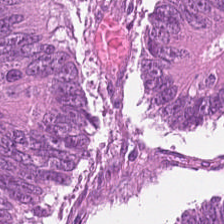Stain: hematoxylin-and-eosin stained section.
Predominant tissue: colorectal adenocarcinoma epithelium.
